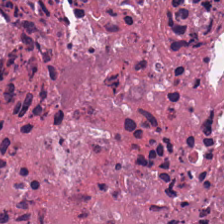H&E-stained tissue section. This patch shows necrotic debris.
